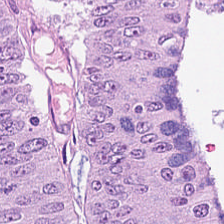H&E-stained tissue section · whole-slide-image patch · 224×224 px patch.
Tissue class = tumor epithelium.
